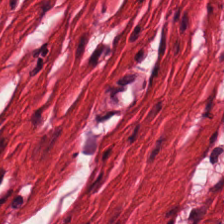Q: What type of tissue is this?
A: This is smooth-muscle tissue.
